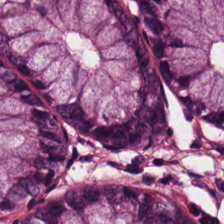The predominant tissue is normal colon mucosa.
